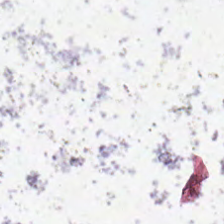H&E stain; formalin-fixed paraffin-embedded section.
{"content": "background (no tissue)"}
